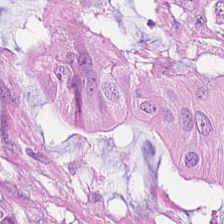224×224 px patch. Hematoxylin-and-eosin stained section. Impression → colorectal adenocarcinoma.
